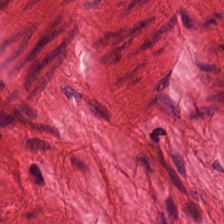H&E. Impression — smooth muscle.
